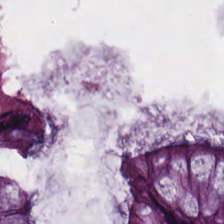224×224 px patch. H&E.
Q: What does this patch show?
A: Non-neoplastic colon mucosa.
